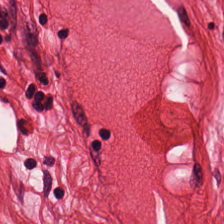Hematoxylin and eosin; FFPE tissue section — Tissue: smooth-muscle tissue.
